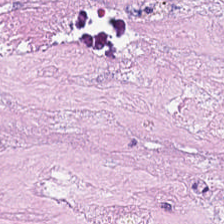Impression — necrotic debris.
